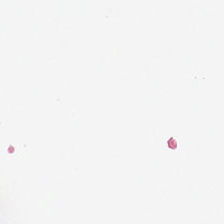Stain: H&E stain.
Tile size: 224×224 pixel tile.
Content: background (no tissue).
